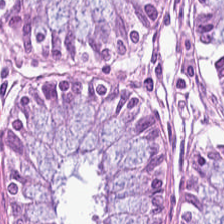The predominant tissue is normal colonic mucosa.
